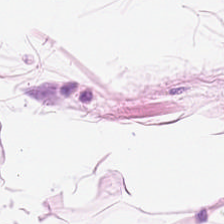Hematoxylin and eosin · 0.5 µm/px. Adipose tissue.
